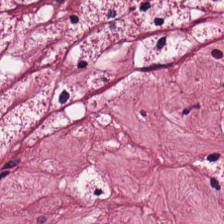Hematoxylin-and-eosin stained section. Whole-slide-image patch.
The predominant tissue is cancer-associated stroma.
